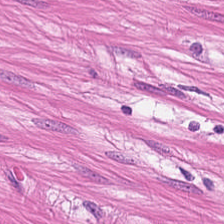This field is smooth-muscle tissue.
